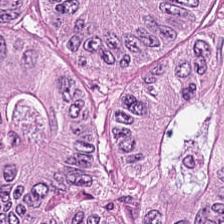Whole-slide-image patch. H&E-stained tissue section. Impression → colorectal adenocarcinoma.
